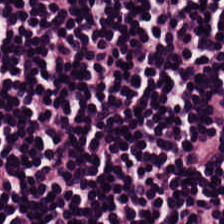H&E-stained tissue section.
Showing lymphoid infiltrate.
